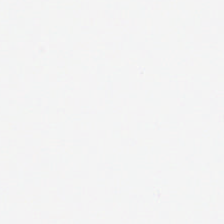Background — no tissue in this field.
